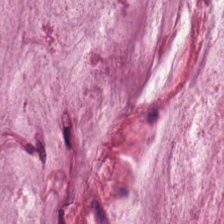Stain: hematoxylin-and-eosin stained section.
Tissue type: mucus.
